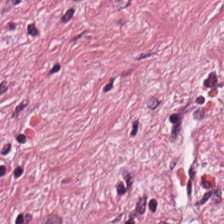Hematoxylin and eosin — This patch shows tumor-associated stroma.
